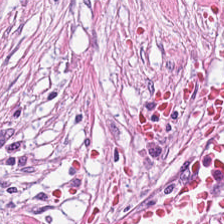Hematoxylin-and-eosin stained section. The tissue is cancer-associated stroma.
